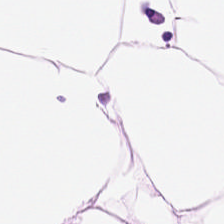H&E; FFPE tissue section.
Predominant tissue = adipose.
